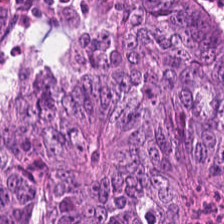WSI patch · 0.5 µm per pixel · H&E-stained tissue section — The tissue class is colorectal adenocarcinoma.
